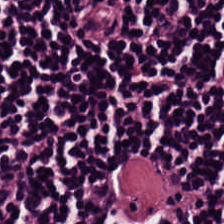FFPE · H&E stain — Q: What does this patch show?
A: The field shows lymphocytes.
